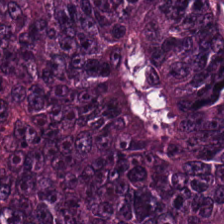H&E-stained tissue section.
{"tissue_type": "adenocarcinoma"}
